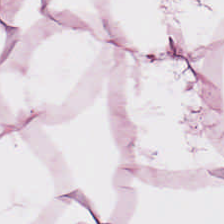H&E · whole-slide-image patch. Predominantly adipocytes.
